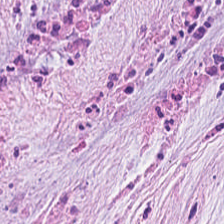0.5 µm/px; hematoxylin and eosin. Tissue type: tumor stroma.
